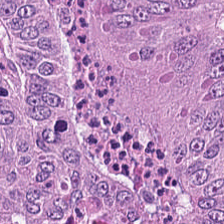0.5 microns per pixel. 224×224 px tile. Hematoxylin and eosin.
The tissue here is tumor epithelium.
